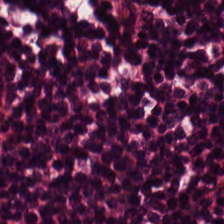H&E-stained tissue section.
The classification is lymphocyte aggregate.
